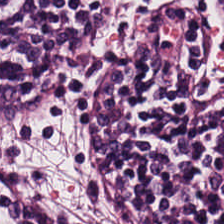Hematoxylin-and-eosin stained section · FFPE tissue section — Q: What is shown here?
A: Lymphocyte aggregate.
